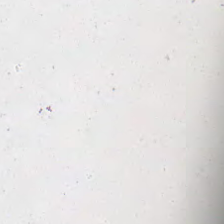Hematoxylin-and-eosin stained section — No tissue present; background only.
